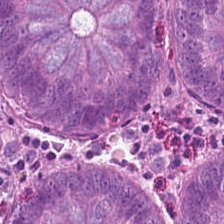0.5 µm/px · hematoxylin and eosin — Tissue class — normal colonic mucosa.
